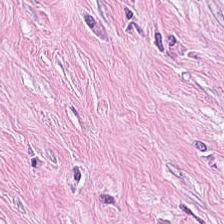The predominant tissue is cancer-associated stroma.
